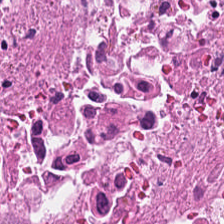Hematoxylin-and-eosin stained section. The tissue here is necrotic debris.
